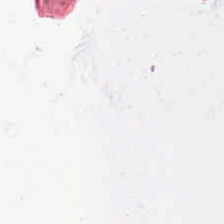H&E-stained tissue section. Classification — no tissue.
